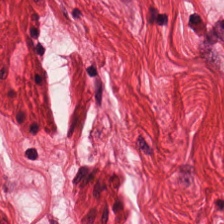Formalin-fixed paraffin-embedded section. 0.5 µm per pixel. Hematoxylin-and-eosin stained section. Impression — muscularis.
